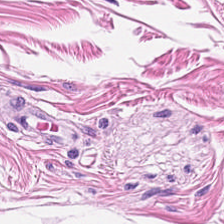Muscularis.
